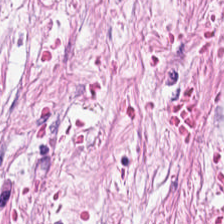Hematoxylin and eosin — Q: What is shown in this field?
A: This is tumor-associated stroma.
